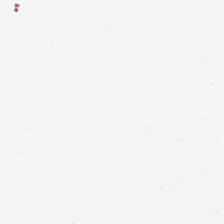H&E. Q: What is shown here?
A: This is empty background.
